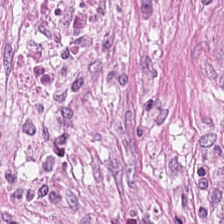H&E — This field is desmoplastic stroma.
